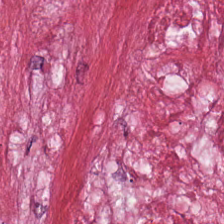H&E stain — Desmoplastic stroma.
